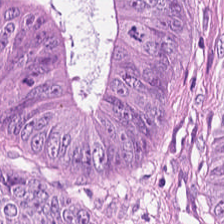H&E stain.
This patch shows malignant epithelium.
